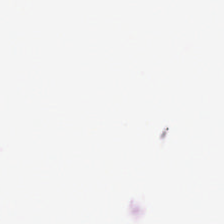0.5 microns per pixel; H&E. Classification — no tissue.
